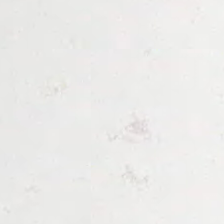Hematoxylin and eosin. Impression → background (no tissue).
